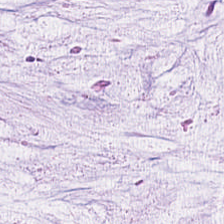Impression → mucus.
